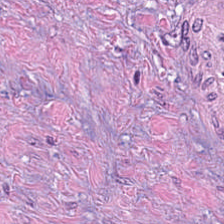The classification is tumor-associated stroma.
